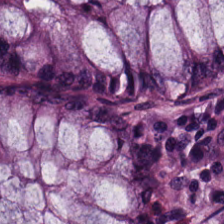Q: What type of tissue is this?
A: This is benign colonic mucosa.
